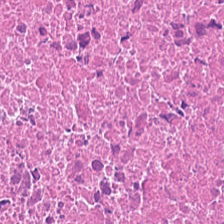H&E-stained tissue section showing cellular debris.
